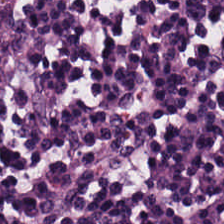Stain: H&E.
Acquisition: brightfield microscopy.
Classification: lymphocytic infiltrate.
